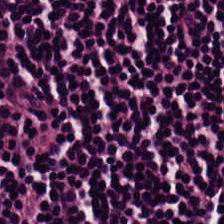224×224 px tile · FFPE tissue section · hematoxylin-and-eosin stained section — Impression → lymphoid infiltrate.
